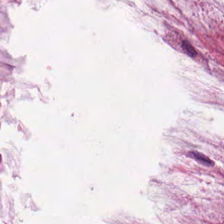Hematoxylin-and-eosin stained section — Finding — mucus.
